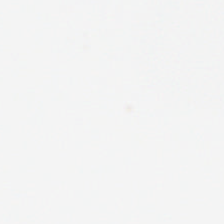Hematoxylin-and-eosin stained section. Finding — no tissue.
